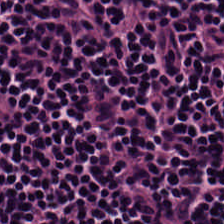224×224 px patch; hematoxylin-and-eosin stained section.
Lymphocytes.
